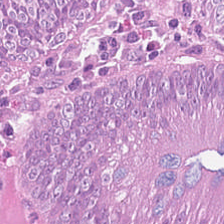Hematoxylin and eosin.
Finding → colorectal adenocarcinoma epithelium.
